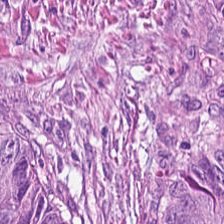H&E stain — Predominantly adenocarcinoma.
